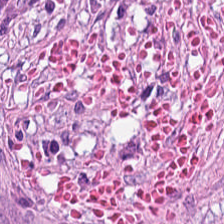H&E. 224×224 px patch.
The predominant tissue is cancer-associated stroma.
